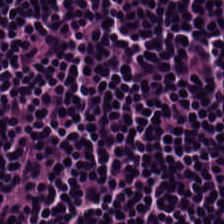H&E stain · FFPE · brightfield microscopy.
The predominant tissue is lymphocyte aggregate.
